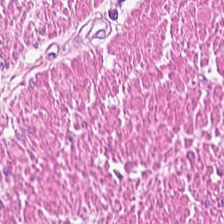Hematoxylin and eosin — The tissue here is smooth muscle.
